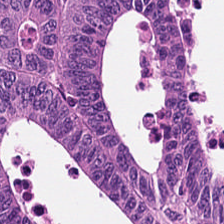H&E-stained tissue section. The predominant tissue is adenocarcinoma.
